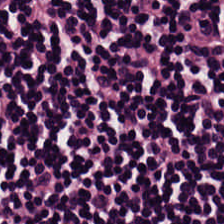Hematoxylin and eosin — The tissue class is lymphocytes.
